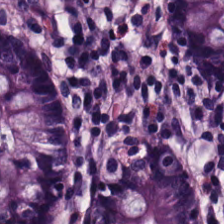0.5 µm/px · H&E · WSI patch.
Finding — non-neoplastic colon mucosa.
